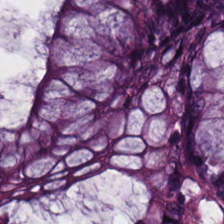WSI patch. Hematoxylin and eosin — Tissue class = normal colon mucosa.
